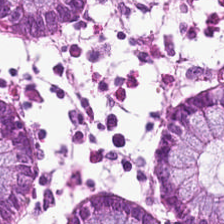Hematoxylin-and-eosin stained section.
Classification = normal colon mucosa.
